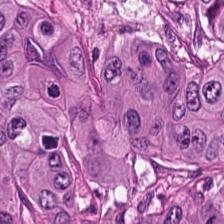20× equivalent magnification; H&E stain.
The predominant tissue is colorectal adenocarcinoma epithelium.
